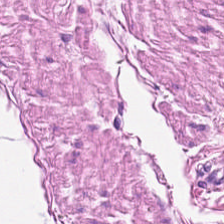This patch shows muscularis.
